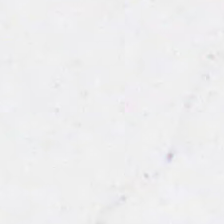224×224 px patch · hematoxylin and eosin · WSI patch.
No tissue present; background only.
